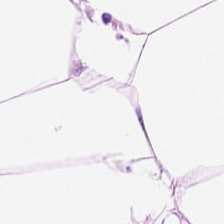Stain: H&E.
Predominant tissue: adipose tissue.
